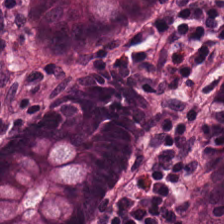H&E stain. 0.5 µm/px. FFPE tissue section.
Q: What tissue type is shown here?
A: Non-neoplastic colon mucosa.
